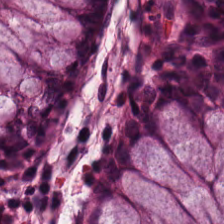H&E patch showing normal colon mucosa.
